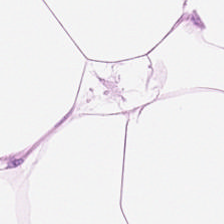224×224 px patch; H&E-stained tissue section; brightfield microscopy.
Q: Identify the tissue.
A: It is adipose.
